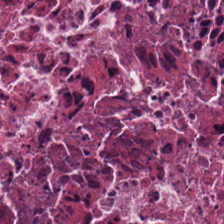Stain: hematoxylin and eosin.
Classification: debris.
